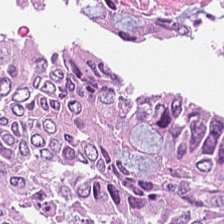Q: What tissue is shown?
A: Colorectal adenocarcinoma epithelium.
